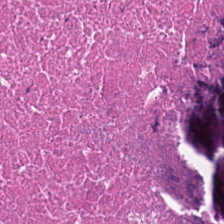Stain: hematoxylin and eosin.
Tissue class: debris.
